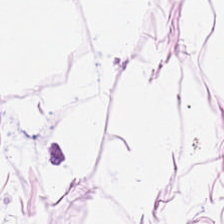H&E — {"tissue_type": "fat tissue"}
